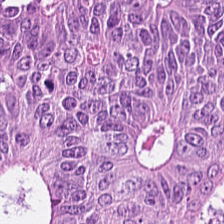Hematoxylin-and-eosin stained section · brightfield.
The classification is malignant epithelium.
